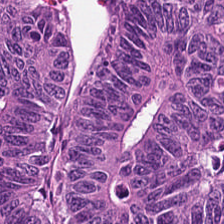Hematoxylin-and-eosin stained section. Impression — colorectal adenocarcinoma epithelium.
